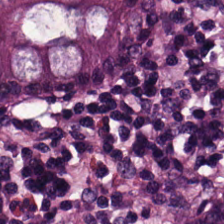Q: Identify the tissue.
A: This is normal colon mucosa.
